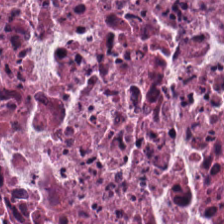H&E stain. This field is necrotic debris.
